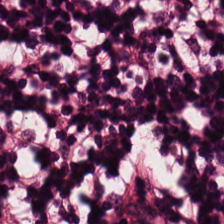H&E-stained tissue section — Impression → lymphocyte aggregate.
